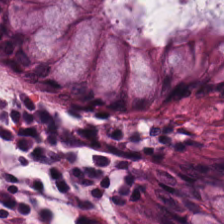Q: What type of tissue is this?
A: Non-neoplastic colon mucosa.
